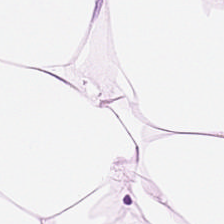H&E patch showing adipose tissue.
